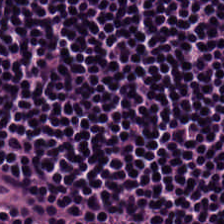H&E stain.
Tissue type — lymphoid infiltrate.
